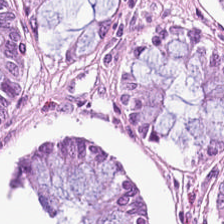Hematoxylin-and-eosin stained section — Finding → normal colonic mucosa.
